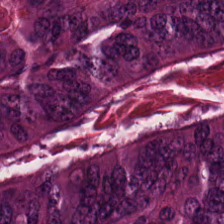Hematoxylin-and-eosin stained section. This patch shows adenocarcinoma.
